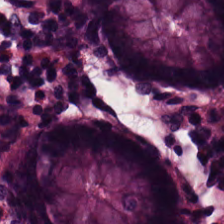0.5 µm per pixel; 224×224 px patch; H&E stain — Predominantly non-neoplastic colon mucosa.
